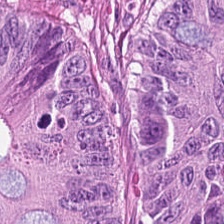H&E patch showing adenocarcinoma.
